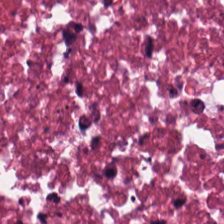Brightfield microscopy; 224×224 px patch; H&E — This field is cellular debris.
